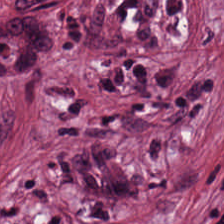Hematoxylin-and-eosin stained section.
The predominant tissue is desmoplastic stroma.
